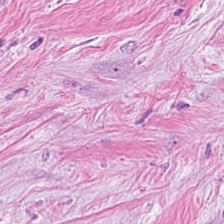Stain: hematoxylin-and-eosin stained section.
Preparation: FFPE tissue section.
Tissue class: desmoplastic stroma.
